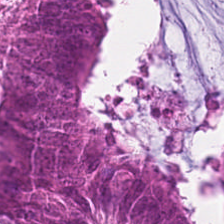Stain: hematoxylin and eosin.
Tile size: 224×224 px tile.
Tissue class: malignant epithelium.
